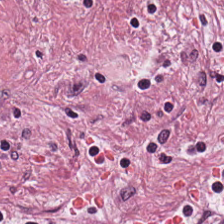H&E stain.
Histology → tumor stroma.
